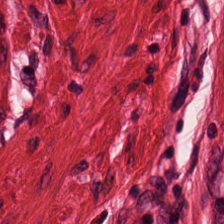20× equivalent magnification. Hematoxylin-and-eosin stained section. Brightfield microscopy — Impression → smooth-muscle tissue.
